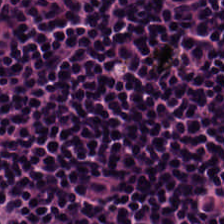The predominant tissue is lymphocytic infiltrate.
